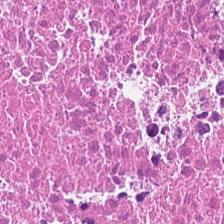Finding → debris.
